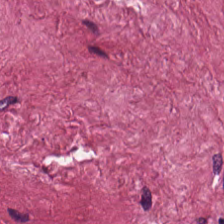H&E stain. 0.5 µm per pixel — Predominant tissue = cancer-associated stroma.
